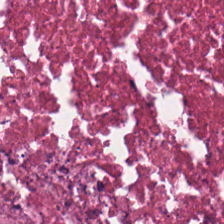20× equivalent magnification. H&E stain.
Impression — debris.
